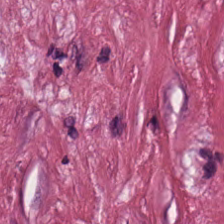Hematoxylin and eosin.
The predominant tissue is tumor-associated stroma.
